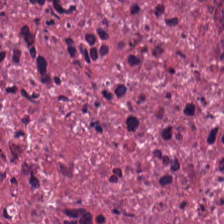Brightfield. H&E-stained tissue section.
Showing cellular debris.
